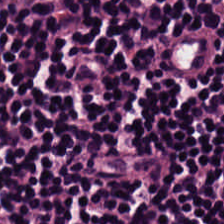FFPE · H&E-stained tissue section · 224×224 px patch — The tissue here is lymphocytes.
